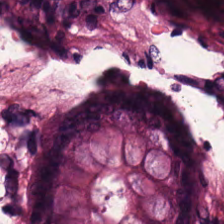Tissue class: benign colonic mucosa.
